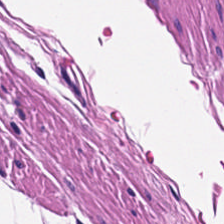Hematoxylin-and-eosin stained section · formalin-fixed paraffin-embedded section. {"tissue_type": "smooth muscle"}
